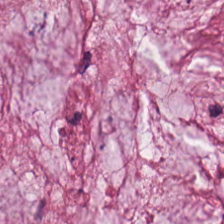Finding — extracellular mucin.
